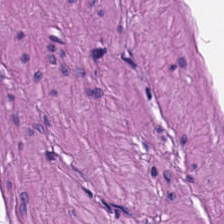H&E.
Q: What is shown here?
A: The field shows smooth muscle.
